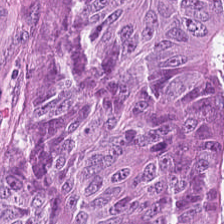H&E-stained tissue section — Classification — tumor epithelium.
